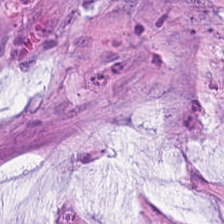Hematoxylin-and-eosin stained section; 0.5 µm/px. Extracellular mucin.
